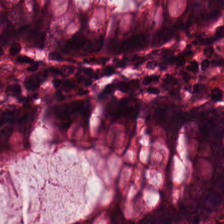0.5 microns per pixel · hematoxylin and eosin · FFPE — The tissue class is normal colonic mucosa.
